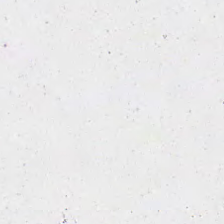Field content: background (no tissue).
